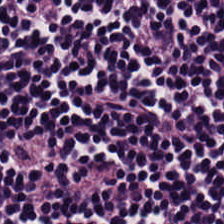H&E. 0.5 µm/px.
Q: What is shown in this field?
A: It is lymphoid infiltrate.
